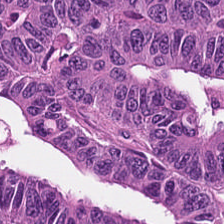H&E-stained tissue section; 224×224 pixel tile.
Q: Classify this patch.
A: Colorectal adenocarcinoma epithelium.
